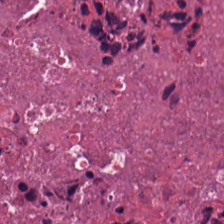H&E stain — Necrotic debris.
